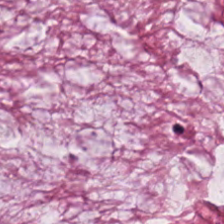Histology → mucus.
